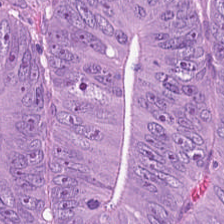Formalin-fixed paraffin-embedded section · H&E-stained tissue section. The tissue here is colorectal adenocarcinoma.
